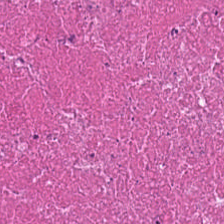H&E stain.
Tissue type = cellular debris.
